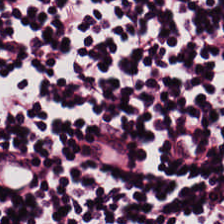H&E-stained tissue section.
This field is lymphocyte aggregate.
